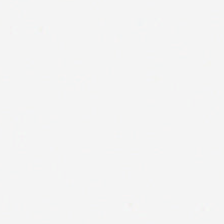H&E-stained tissue section. This field is background (no tissue).
